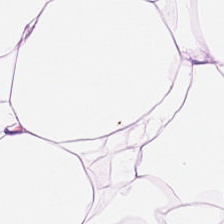Hematoxylin-and-eosin stained section; brightfield; 224×224 pixel tile.
The tissue class is adipose.
